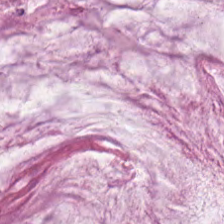Hematoxylin-and-eosin stained section — The predominant tissue is extracellular mucin.
